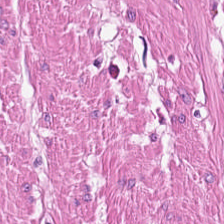Hematoxylin-and-eosin stained section. Predominant tissue — smooth muscle.
